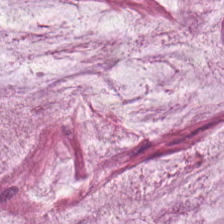H&E stain. The predominant tissue is extracellular mucin.
